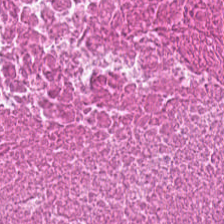224×224 pixel tile · 0.5 µm per pixel · H&E stain. The classification is cellular debris.
